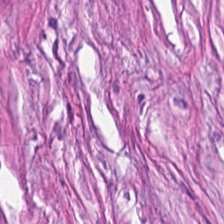Tumor-associated stroma.
